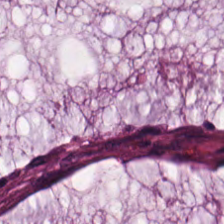Hematoxylin-and-eosin stained section; 224×224 pixel tile; 20× equivalent magnification. Q: What tissue type is shown here?
A: This is extracellular mucin.
